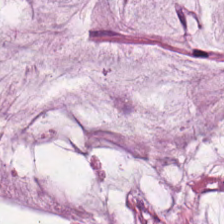FFPE tissue section. WSI patch. Hematoxylin and eosin — Tissue class — mucin.
